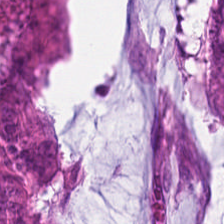Brightfield microscopy · hematoxylin-and-eosin stained section.
Predominant tissue: tumor epithelium.
